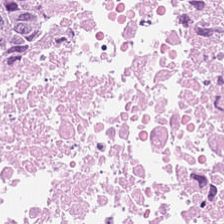FFPE; H&E. This patch shows debris.
